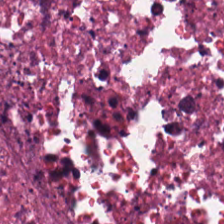224×224 pixel tile · FFPE tissue section · hematoxylin-and-eosin stained section — Necrotic debris.
